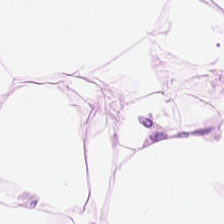Hematoxylin and eosin; 224×224 px patch. Impression → adipocytes.
